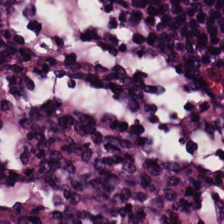H&E-stained tissue section — Lymphocytic infiltrate.
